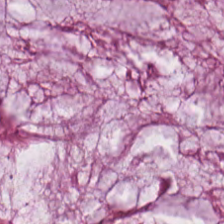H&E stain — Q: What is shown in this field?
A: This is mucin.
